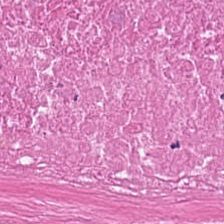H&E.
The tissue is necrotic debris.
